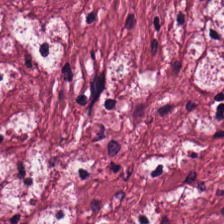224×224 pixel tile · hematoxylin and eosin · FFPE tissue section — Predominantly desmoplastic stroma.
